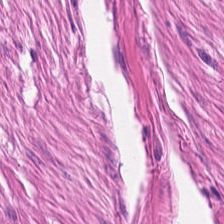H&E. FFPE tissue section — Predominantly muscularis.
